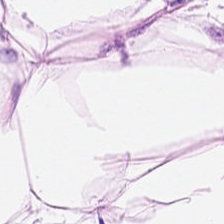This field is adipose tissue.
